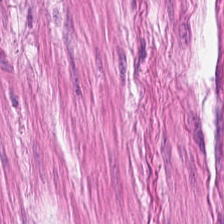H&E-stained tissue section.
Impression — smooth-muscle tissue.
